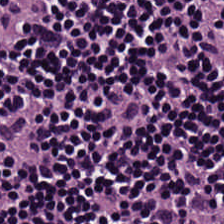H&E stain — Predominant tissue = lymphocytes.
